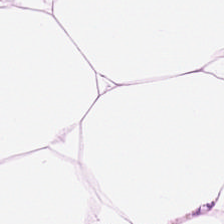This field is adipocytes.
